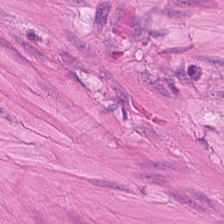Formalin-fixed paraffin-embedded section · H&E · 224×224 px patch. Q: What does this patch show?
A: Smooth muscle.
